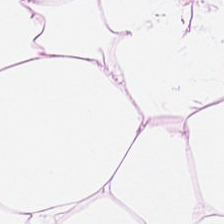H&E; 224×224 px tile. Fat tissue.
